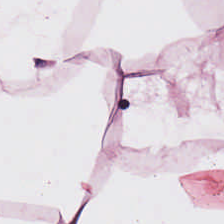Hematoxylin and eosin.
Impression → adipose.
